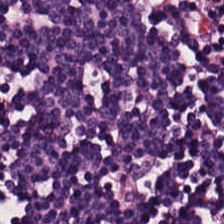Stain: hematoxylin-and-eosin stained section.
Tissue: lymphocyte aggregate.
